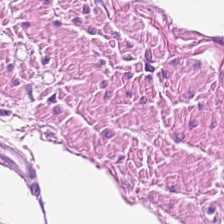Hematoxylin and eosin. Impression → smooth muscle.
